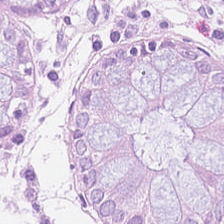Stain: H&E-stained tissue section.
Tissue: benign colonic mucosa.
